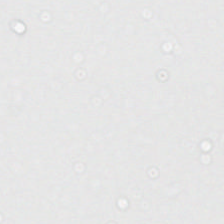Hematoxylin-and-eosin stained section.
Classification — background (no tissue).
